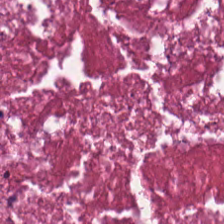H&E stain. Showing necrotic debris.
